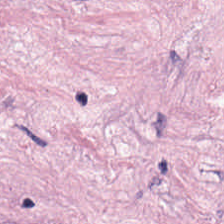Stain: H&E stain.
Preparation: FFPE.
Tissue type: desmoplastic stroma.
